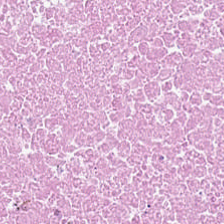224×224 pixel tile; H&E-stained tissue section; 0.5 µm per pixel — The predominant tissue is debris.
